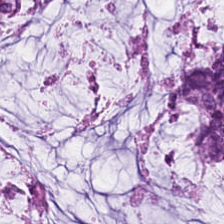0.5 µm per pixel · H&E stain.
Tissue type — mucus.
